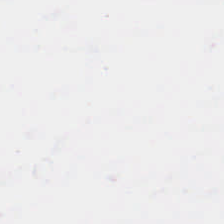Empty field — no tissue.
